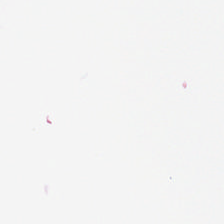H&E-stained tissue section — Classification: empty background.
